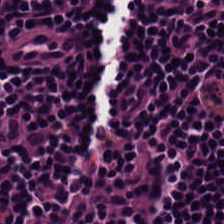20× equivalent magnification · hematoxylin and eosin — Predominantly lymphoid infiltrate.
